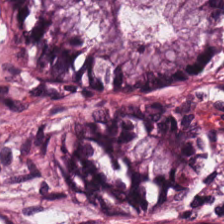Tissue — benign colonic mucosa.
